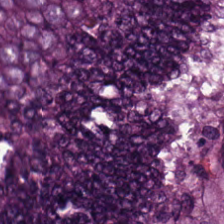H&E-stained tissue section — Colorectal adenocarcinoma.
